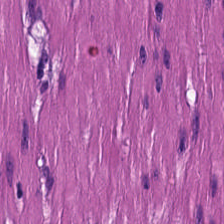Stain: H&E stain.
Predominant tissue: muscularis.
